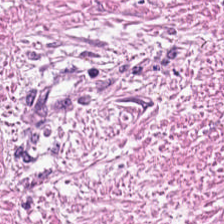Hematoxylin-and-eosin stained section · FFPE.
The tissue here is cancer-associated stroma.
